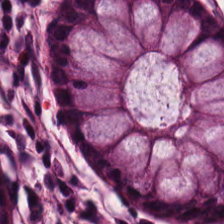Hematoxylin-and-eosin stained section. FFPE. Normal colonic mucosa.
